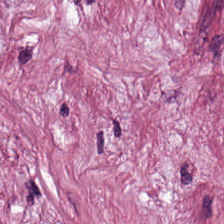H&E-stained tissue section. Classification — tumor-associated stroma.
